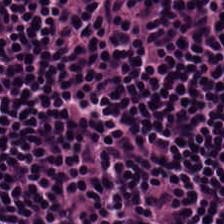Whole-slide-image patch; 0.5 µm per pixel; hematoxylin-and-eosin stained section. This field is lymphocyte aggregate.
